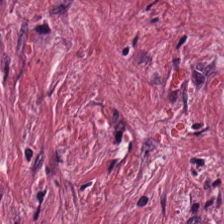H&E; brightfield microscopy. Q: What is shown in this field?
A: This is cancer-associated stroma.
